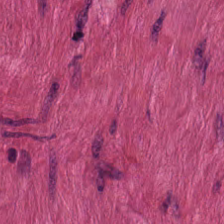Hematoxylin and eosin.
This field is smooth muscle.
